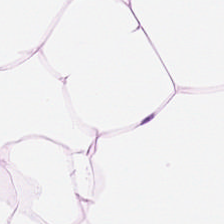Stain: hematoxylin and eosin.
Resolution: 20× equivalent magnification.
Acquisition: brightfield microscopy.
Classification: adipose tissue.
